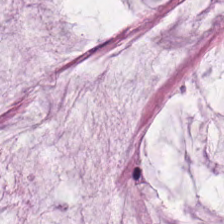Hematoxylin-and-eosin stained section.
The tissue type is mucin.
